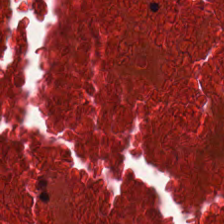H&E-stained tissue section — This field is necrotic debris.
